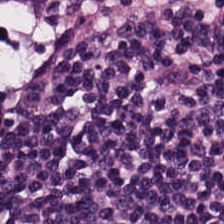224×224 px patch; H&E stain; whole-slide-image patch. Tissue class: lymphocyte aggregate.
